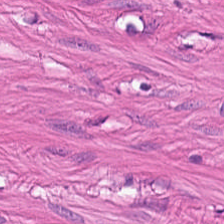Hematoxylin and eosin · brightfield microscopy. The tissue is smooth-muscle tissue.
